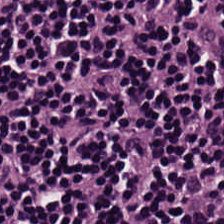Stain: H&E-stained tissue section.
Tissue: lymphoid infiltrate.
